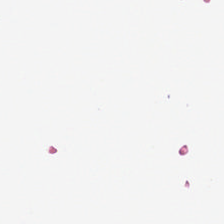H&E. WSI patch. This patch shows no tissue.
